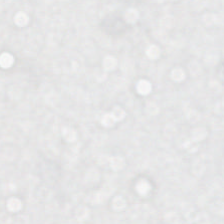Hematoxylin and eosin.
This field is background (no tissue).
